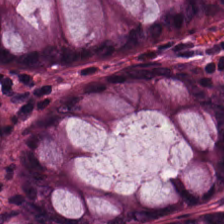H&E-stained section; the field shows normal colonic mucosa.
